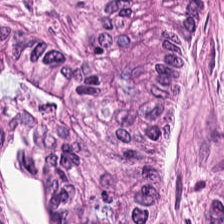H&E; FFPE; brightfield microscopy. Tissue: tumor epithelium.
